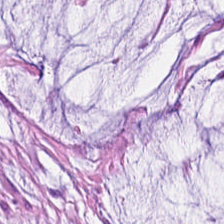Stain: H&E stain.
Tile size: 224×224 px tile.
Predominant tissue: mucus.
